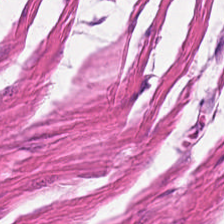Predominantly smooth-muscle tissue.
